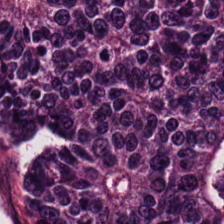Stain: H&E-stained tissue section.
Predominant tissue: tumor epithelium.
